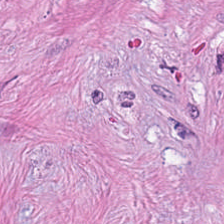Histology — tumor-associated stroma.
